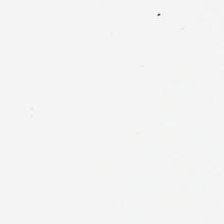H&E-stained tissue section. Content = background.
